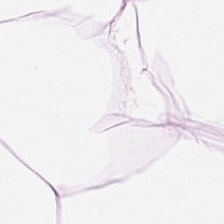224×224 px patch. H&E-stained tissue section — Classification — fat tissue.
